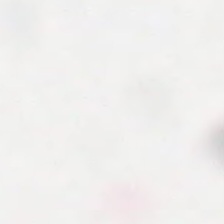Hematoxylin and eosin — Finding — no tissue.
